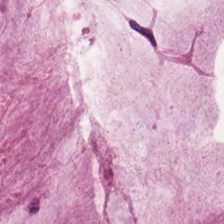Predominant tissue — mucus.
